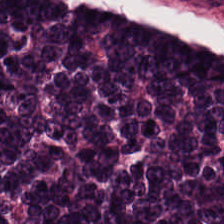0.5 µm/px. Hematoxylin-and-eosin stained section — This patch shows colorectal adenocarcinoma.
